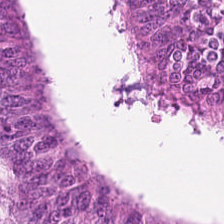The classification is tumor epithelium.
